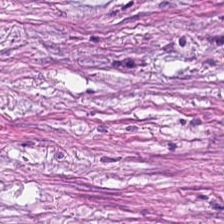Hematoxylin-and-eosin stained section · formalin-fixed paraffin-embedded section — Predominant tissue — cancer-associated stroma.
